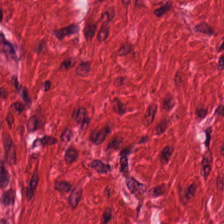0.5 µm/px · H&E. Classification — smooth muscle.
